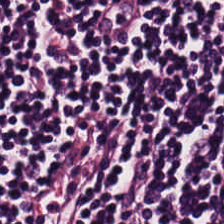FFPE. Hematoxylin and eosin. Brightfield microscopy.
Tissue: lymphocyte aggregate.
